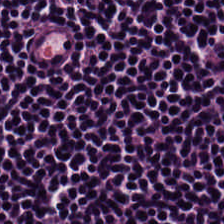Hematoxylin-and-eosin stained section.
The predominant tissue is lymphocytes.
